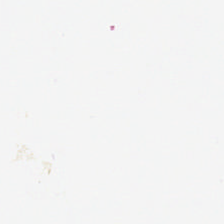Stain: H&E.
Field content: background.
